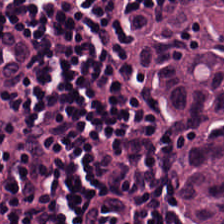Tissue — lymphoid infiltrate.
